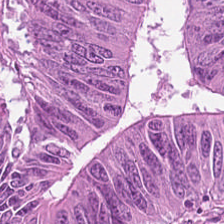Whole-slide-image patch. 0.5 µm/px. Hematoxylin-and-eosin stained section — Predominant tissue = adenocarcinoma.
